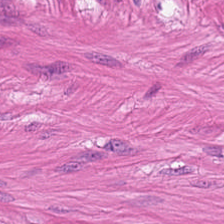H&E stain. Q: What is shown here?
A: The field shows muscularis.
